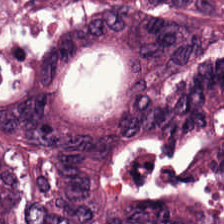Tumor epithelium.
